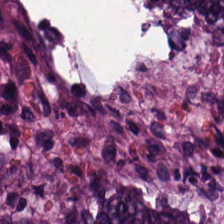H&E. The predominant tissue is malignant epithelium.
